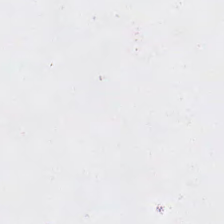H&E — Content = background.
